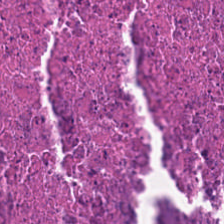Stain: hematoxylin and eosin.
Preparation: FFPE tissue section.
Predominant tissue: necrotic debris.
